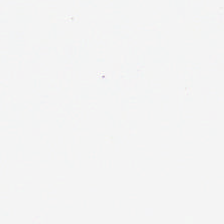H&E stain · whole-slide-image patch · 224×224 px patch. Classification: background (no tissue).
